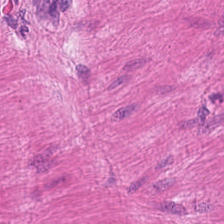Stain: hematoxylin-and-eosin stained section.
Acquisition: brightfield.
Classification: smooth-muscle tissue.
